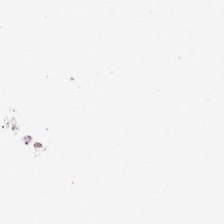H&E.
This field is background (no tissue).
